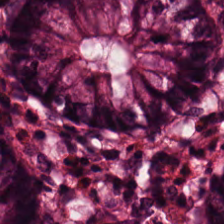H&E — The predominant tissue is normal colonic mucosa.
